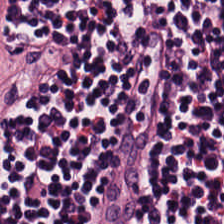Q: Identify the tissue.
A: Lymphocyte aggregate.
